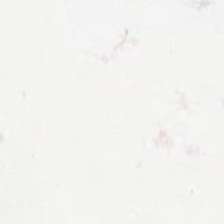FFPE; brightfield microscopy; hematoxylin-and-eosin stained section.
Classification: background (no tissue).
